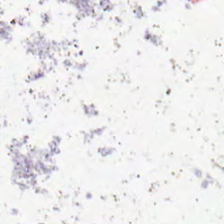Background.
